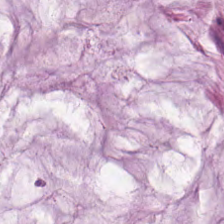Hematoxylin-and-eosin stained section. This patch shows mucin.
